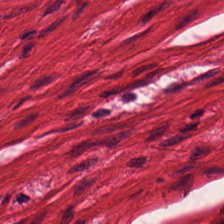H&E.
This field is muscularis.
